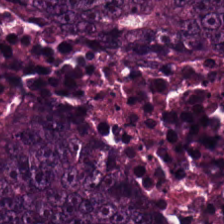H&E stain.
This patch shows tumor epithelium.
